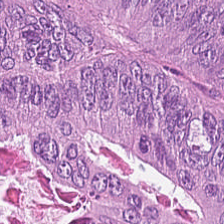Finding → adenocarcinoma.
